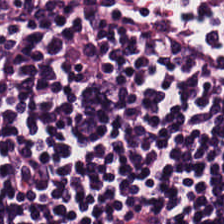H&E stain. Classification — lymphocytes.
